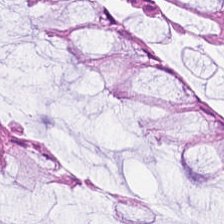H&E. Predominantly non-neoplastic colon mucosa.
